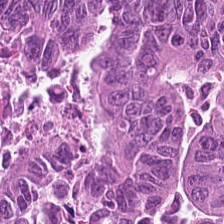H&E · brightfield microscopy · 20× equivalent magnification. Classification: malignant epithelium.
